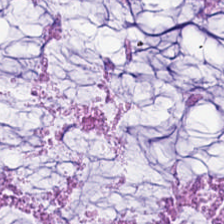Hematoxylin and eosin. Predominantly mucin.
